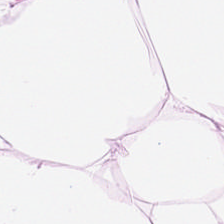Hematoxylin-and-eosin stained section.
The predominant tissue is adipose.
